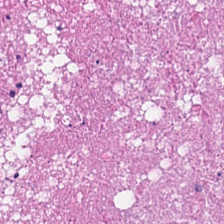Stain: H&E.
Acquisition: brightfield microscopy.
Tile size: 224×224 px patch.
Predominant tissue: debris.
